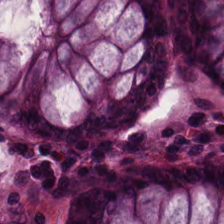{"tissue_type": "benign colonic mucosa"}
